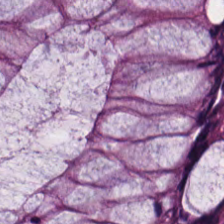H&E-stained tissue section · 0.5 µm/px · 224×224 px tile — Impression → normal colon mucosa.
